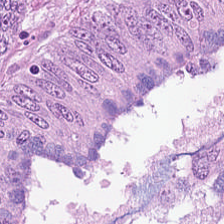Stain: hematoxylin and eosin.
Tissue type: colorectal adenocarcinoma epithelium.
